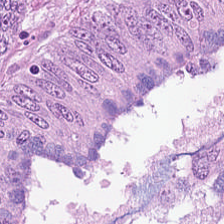Stain: hematoxylin and eosin.
Tissue type: colorectal adenocarcinoma epithelium.
